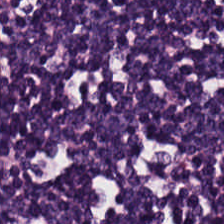H&E stain — Finding → lymphocytes.
